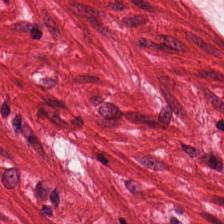Stain: H&E.
Preparation: FFPE tissue section.
Resolution: 0.5 microns per pixel.
Classification: smooth muscle.
